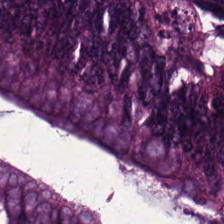The tissue class is colorectal adenocarcinoma.
